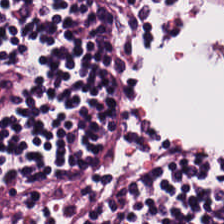Stain: hematoxylin and eosin.
Tissue class: lymphoid infiltrate.
